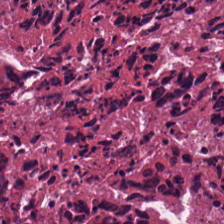The tissue is debris.
